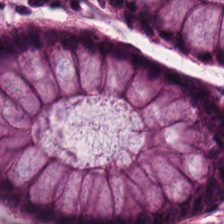Hematoxylin-and-eosin stained section. Histology — benign colonic mucosa.
